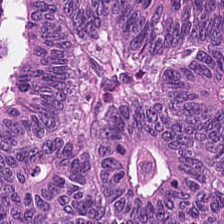H&E stain — The predominant tissue is malignant epithelium.
